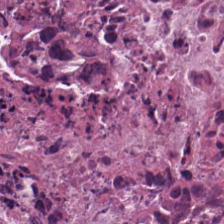H&E-stained tissue section — Q: What is shown in this field?
A: This is cellular debris.
